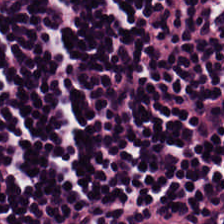Stain: H&E-stained tissue section.
Tissue type: lymphocytic infiltrate.
